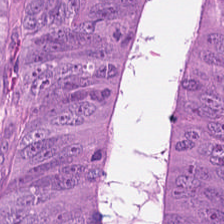224×224 px tile. H&E-stained tissue section. The predominant tissue is adenocarcinoma.
